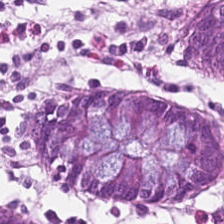H&E-stained tissue section — Showing benign colonic mucosa.
